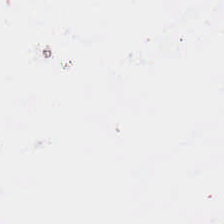H&E. Q: What is shown in this field?
A: Background.
